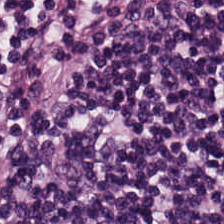H&E-stained tissue section — Predominantly lymphoid infiltrate.
